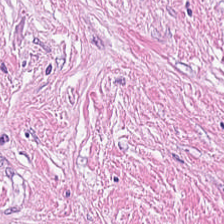H&E-stained tissue section. Histology — tumor stroma.
